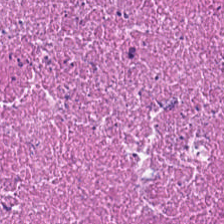H&E stain.
Tissue class — cellular debris.
